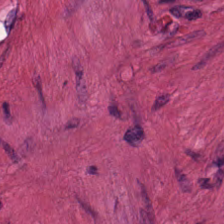224×224 px patch. H&E. 0.5 µm/px.
Tissue type — smooth-muscle tissue.
